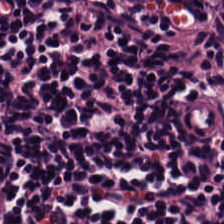Hematoxylin-and-eosin stained section.
Tissue = lymphoid infiltrate.
